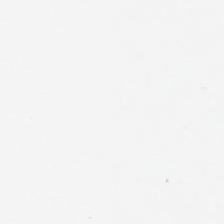H&E-stained tissue section.
No tissue present; background only.
